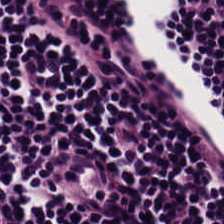H&E stain. Brightfield. Lymphocytes.
